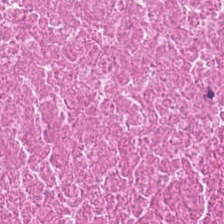H&E stain — Predominant tissue = necrotic debris.
